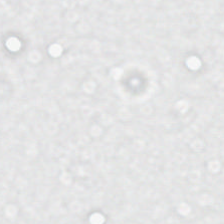Hematoxylin and eosin — Classification: empty background.
